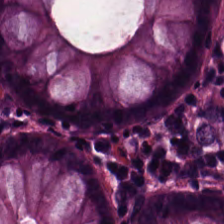H&E-stained tissue section · 224×224 px tile · 0.5 µm/px.
Q: What tissue is shown?
A: Non-neoplastic colon mucosa.
